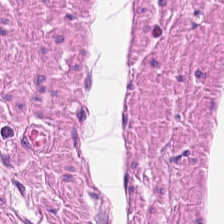Hematoxylin and eosin · 224×224 px tile — This field is smooth-muscle tissue.
